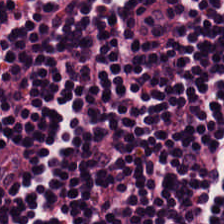Predominantly lymphocytes.
